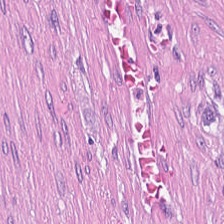Brightfield · hematoxylin-and-eosin stained section · 224×224 px tile — This patch shows tumor stroma.
